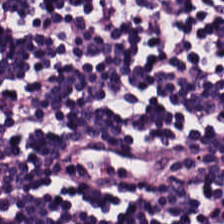H&E. Finding → lymphocytes.
